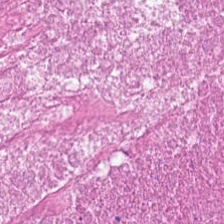Hematoxylin-and-eosin stained section — This patch shows cellular debris.
